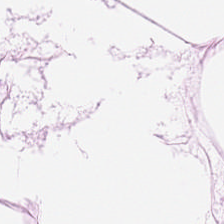H&E stain.
Q: Identify the tissue.
A: The field shows fat tissue.
